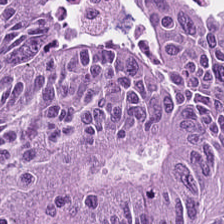H&E. 20× equivalent magnification. Formalin-fixed paraffin-embedded section. This patch shows adenocarcinoma.
